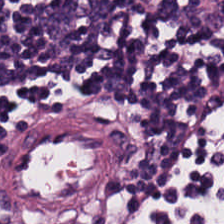H&E-stained tissue section. 224×224 px tile. Classification = lymphocytic infiltrate.
